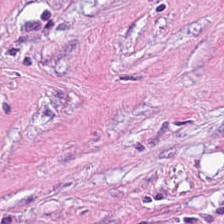Tissue = tumor stroma.
